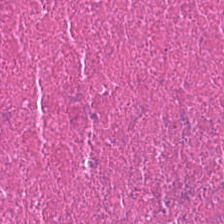The predominant tissue is cellular debris.
